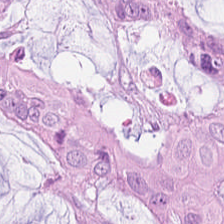Hematoxylin-and-eosin stained section. FFPE tissue section — Q: Classify this patch.
A: It is malignant epithelium.
